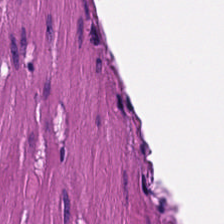Smooth-muscle tissue.
